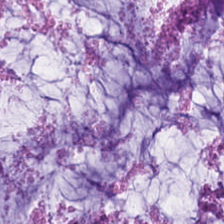H&E-stained tissue section — Tissue = extracellular mucin.
